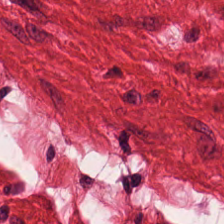H&E-stained tissue section — Predominant tissue — smooth muscle.
